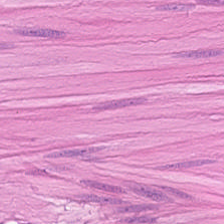H&E-stained tissue section. Tissue type — muscularis.
